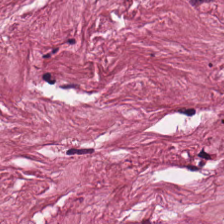H&E-stained tissue section. 20× equivalent magnification. Formalin-fixed paraffin-embedded section.
Q: Identify the tissue.
A: The field shows cancer-associated stroma.
